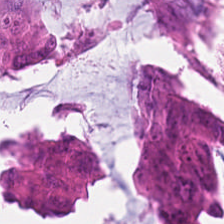Whole-slide-image patch. 0.5 µm per pixel. H&E-stained tissue section — Predominant tissue: malignant epithelium.
